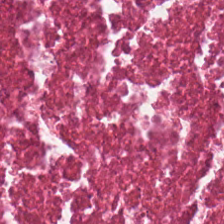Q: What tissue type is shown here?
A: The field shows necrotic debris.
